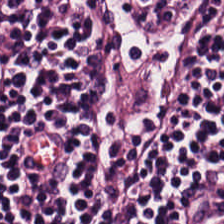This field is lymphocytic infiltrate.
